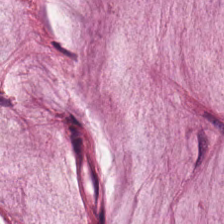Finding → mucus.
